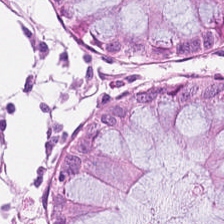Hematoxylin-and-eosin stained section; 20× equivalent magnification. Histology → benign colonic mucosa.
